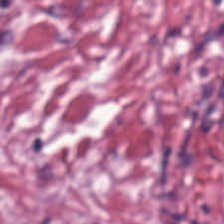WSI patch. H&E-stained tissue section — Q: Identify the tissue.
A: This is desmoplastic stroma.
